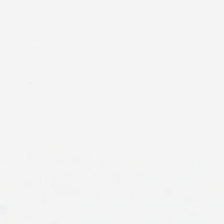WSI patch. 0.5 microns per pixel. H&E — Field content — background (no tissue).
